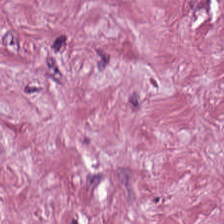H&E.
Tissue — tumor-associated stroma.
